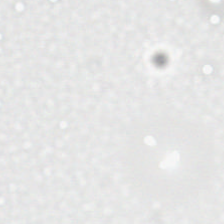Empty field — background (no tissue).
